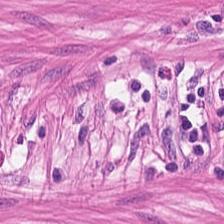H&E stain · 20× equivalent magnification · whole-slide-image patch.
The tissue here is smooth muscle.
